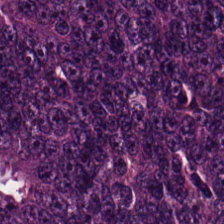Hematoxylin and eosin · 224×224 pixel tile. Impression → malignant epithelium.
